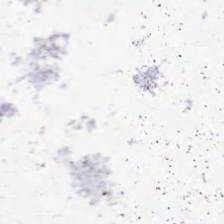Field content — background (no tissue).
